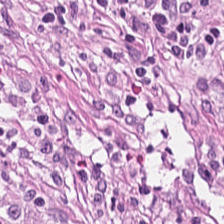20× equivalent magnification · hematoxylin-and-eosin stained section · whole-slide-image patch — {"tissue_type": "tumor stroma"}
